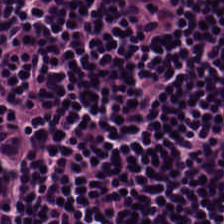WSI patch; H&E.
The tissue is lymphoid infiltrate.
